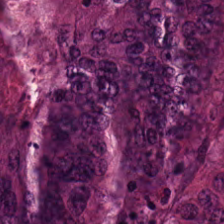Stain: hematoxylin and eosin.
Tissue type: colorectal adenocarcinoma epithelium.
